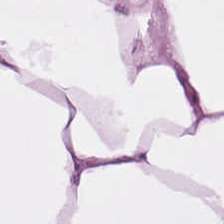Q: What is shown in this field?
A: It is adipocytes.
